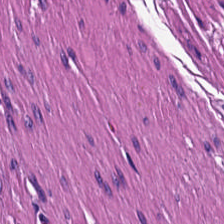H&E stain. Formalin-fixed paraffin-embedded section. 0.5 microns per pixel.
This patch shows muscularis.
